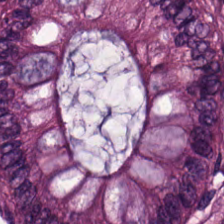H&E-stained tissue section showing normal colon mucosa.
